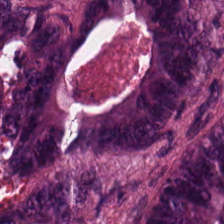H&E-stained tissue section — Finding → malignant epithelium.
